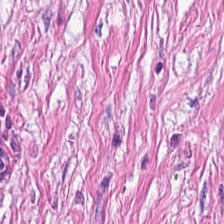H&E-stained tissue section.
Tissue — tumor stroma.
